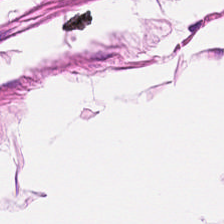{"tissue_type": "smooth-muscle tissue"}
